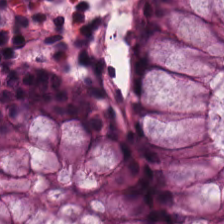H&E stain · 224×224 px tile · formalin-fixed paraffin-embedded section. The predominant tissue is normal colon mucosa.
